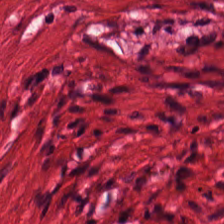H&E-stained tissue section.
Q: What does this patch show?
A: Smooth-muscle tissue.
